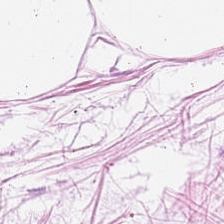0.5 microns per pixel. Hematoxylin and eosin. 224×224 px patch — Tissue: fat tissue.
